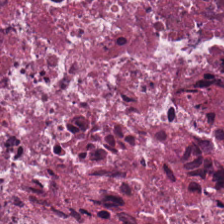H&E.
Showing debris.
